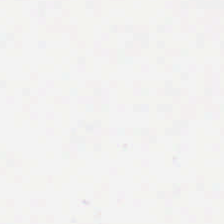H&E-stained tissue section — Content: no tissue.
